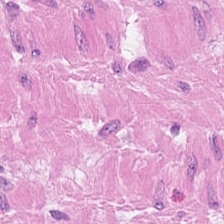224×224 px patch · hematoxylin and eosin.
Histology — muscularis.
